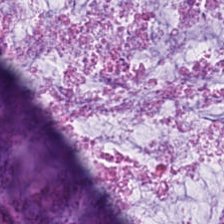0.5 microns per pixel; 224×224 px tile; H&E stain. Finding — extracellular mucin.
